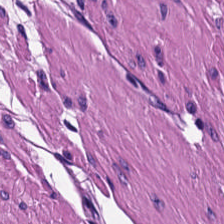The predominant tissue is smooth muscle.
